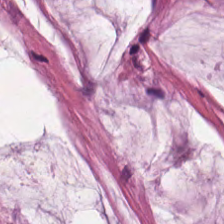Hematoxylin and eosin — Q: What type of tissue is this?
A: This is mucus.
